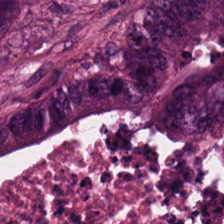WSI patch. H&E-stained tissue section. Impression — malignant epithelium.
